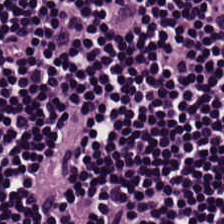The tissue class is lymphoid infiltrate.
